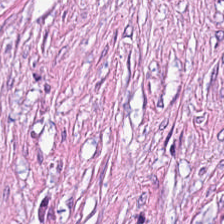Whole-slide-image patch · hematoxylin-and-eosin stained section. The predominant tissue is desmoplastic stroma.
